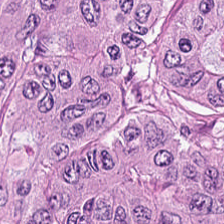Hematoxylin and eosin — Histology — adenocarcinoma.
